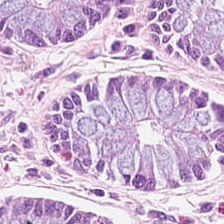H&E patch showing non-neoplastic colon mucosa.
